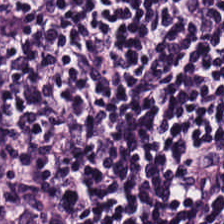Brightfield microscopy · 0.5 µm per pixel · H&E-stained tissue section.
Lymphoid infiltrate.
